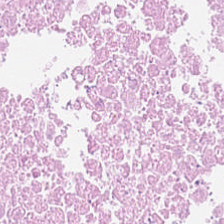Brightfield. H&E-stained tissue section. This field is necrotic debris.
